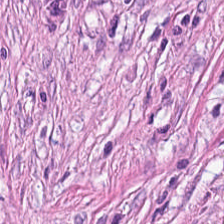Impression — cancer-associated stroma.
